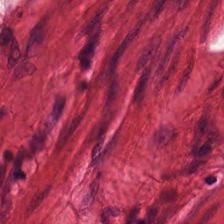H&E; formalin-fixed paraffin-embedded section — The tissue here is muscularis.
